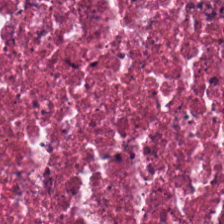Hematoxylin-and-eosin stained section — {"tissue_type": "cellular debris"}
